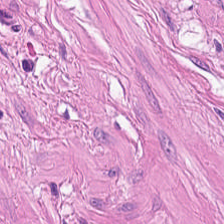Stain: H&E stain.
Predominant tissue: muscularis.
